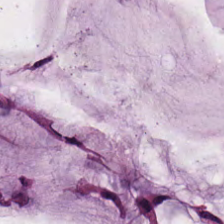H&E-stained tissue section.
This patch shows mucin.
